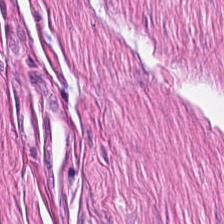The tissue is muscularis.
